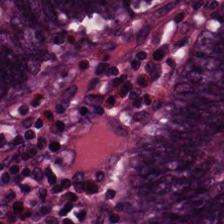Brightfield · H&E. Showing normal colonic mucosa.
